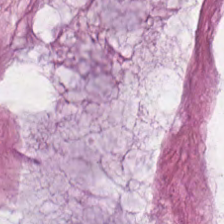Hematoxylin and eosin — {"tissue_type": "mucus"}
